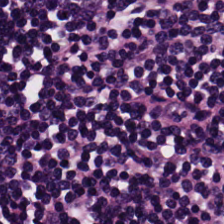Q: What tissue type is shown here?
A: This is lymphocyte aggregate.
